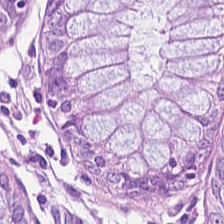H&E-stained tissue section. Tissue type — normal colonic mucosa.
